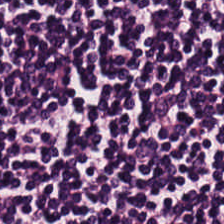H&E. {"tissue_type": "lymphocytes"}
